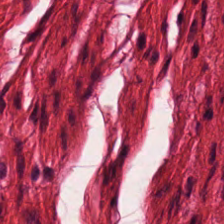H&E stain. This patch shows smooth muscle.
